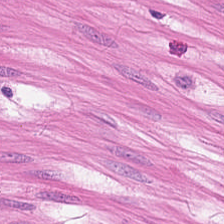H&E — muscularis.
